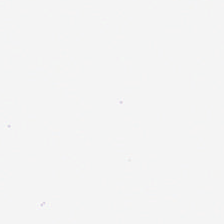Impression → background (no tissue).
